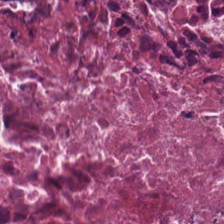Stain: H&E.
Acquisition: brightfield microscopy.
Tissue: debris.
